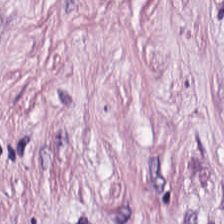H&E. This patch shows tumor-associated stroma.
